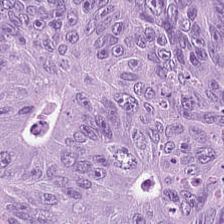Q: What is shown here?
A: It is colorectal adenocarcinoma epithelium.
